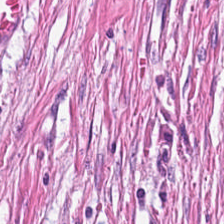H&E-stained tissue section — This patch shows tumor-associated stroma.
